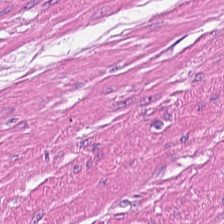Hematoxylin-and-eosin stained section; brightfield.
Q: What is shown in this field?
A: This is muscularis.
